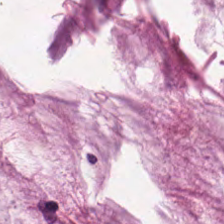Hematoxylin and eosin — {"tissue_type": "mucus"}
